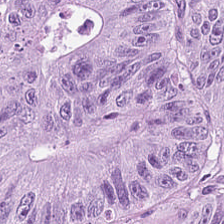Stain: H&E.
Preparation: formalin-fixed paraffin-embedded section.
Acquisition: WSI patch.
Tissue class: colorectal adenocarcinoma.
